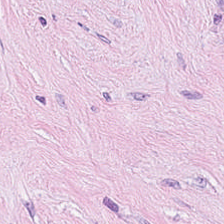Hematoxylin-and-eosin stained section · brightfield · 224×224 px tile. Tissue type = tumor stroma.
